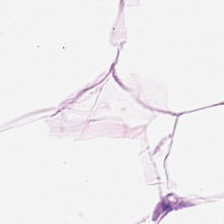Tissue — adipose tissue.
